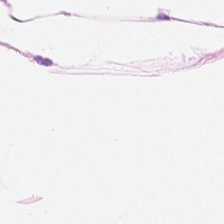{"tissue_type": "adipose tissue"}
